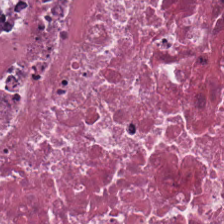H&E · 224×224 pixel tile.
Q: What does this patch show?
A: The field shows necrotic debris.
